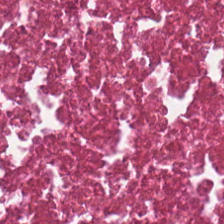Q: What is shown here?
A: Debris.
